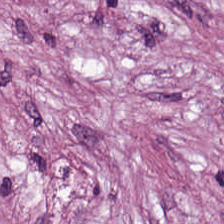H&E-stained tissue section. Tissue class = cancer-associated stroma.
